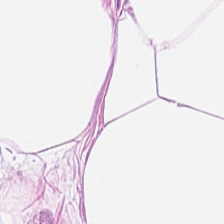H&E-stained tissue section showing adipose.
